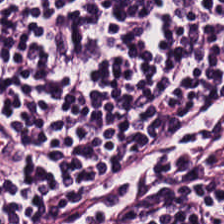Stain: H&E-stained tissue section.
Acquisition: brightfield.
Tile size: 224×224 px tile.
Predominant tissue: lymphocyte aggregate.
